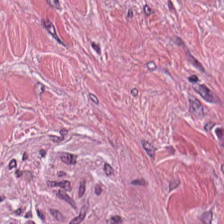0.5 µm per pixel; 224×224 px tile; hematoxylin and eosin.
Q: What is the predominant tissue type?
A: Desmoplastic stroma.
